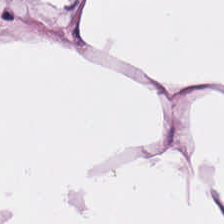224×224 px tile; hematoxylin-and-eosin stained section; whole-slide-image patch.
Showing adipose.
